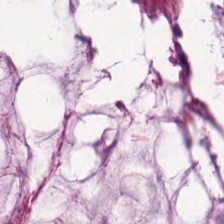H&E-stained tissue section — Showing mucus.
